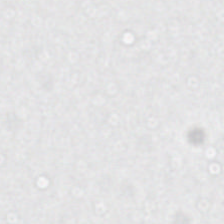Brightfield. 224×224 pixel tile. H&E. Histology — background.
